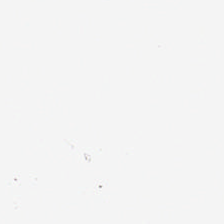H&E-stained tissue section. Q: What does this patch show?
A: This is background.
